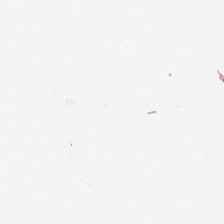The content is background.
